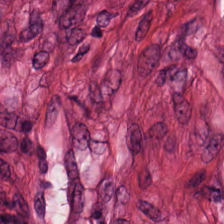Predominant tissue — tumor stroma.
